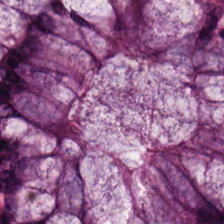H&E-stained tissue section. Normal colon mucosa.
